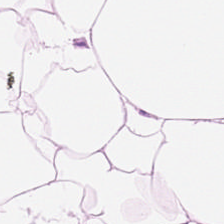Whole-slide-image patch; H&E.
Q: What type of tissue is this?
A: This is adipose.
